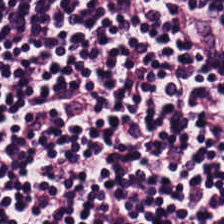Tissue class = lymphocytes.
